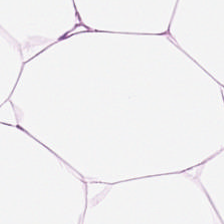H&E stain — Showing adipocytes.
